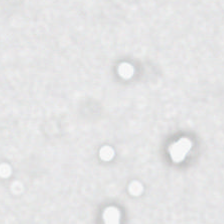224×224 px tile; hematoxylin-and-eosin stained section; brightfield microscopy.
Field content — background (no tissue).
